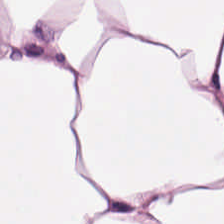Hematoxylin-and-eosin stained section; 224×224 pixel tile.
Predominantly adipocytes.
